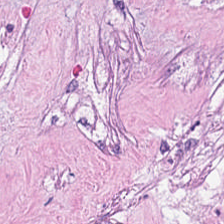0.5 µm/px · hematoxylin-and-eosin stained section.
Predominant tissue: cellular debris.
